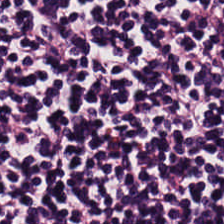H&E — The predominant tissue is lymphoid infiltrate.
